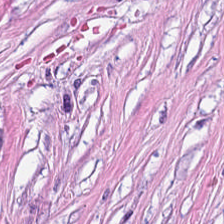Classification = cancer-associated stroma.
